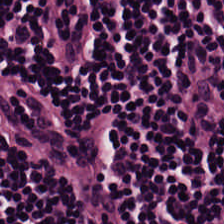Stain: H&E-stained tissue section.
Predominant tissue: lymphocytic infiltrate.
